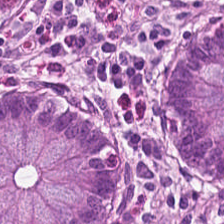Brightfield. Hematoxylin and eosin. The tissue type is non-neoplastic colon mucosa.
